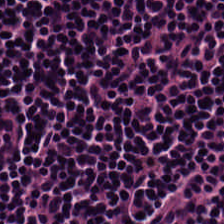H&E-stained tissue section showing lymphocyte aggregate.
